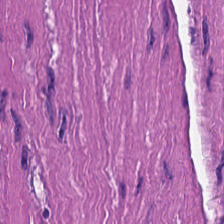Stain: H&E-stained tissue section.
Acquisition: WSI patch.
Tissue: muscularis.
